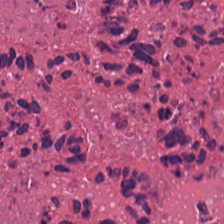0.5 microns per pixel; hematoxylin and eosin.
Q: What is shown here?
A: This is debris.
